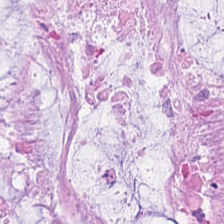H&E-stained tissue section. Formalin-fixed paraffin-embedded section. 20× equivalent magnification. Extracellular mucin.
